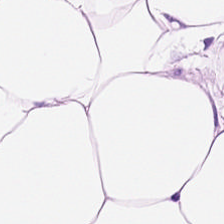Hematoxylin-and-eosin stained section.
Predominantly adipose tissue.
